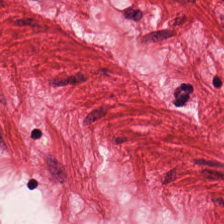Formalin-fixed paraffin-embedded section; H&E stain; 0.5 microns per pixel. The classification is smooth-muscle tissue.
